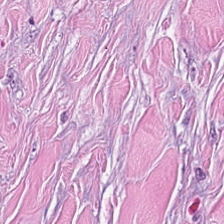H&E. The predominant tissue is tumor stroma.
